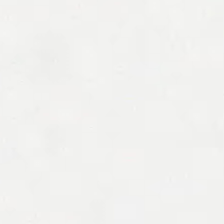H&E stain.
Content — background (no tissue).
